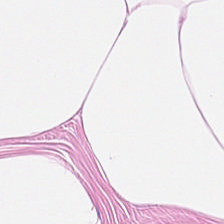Q: What does this patch show?
A: This is fat tissue.
